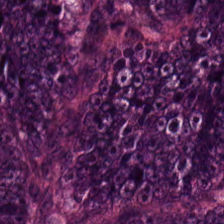H&E. 224×224 pixel tile — Q: What does this patch show?
A: The field shows malignant epithelium.
